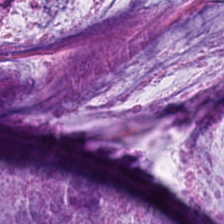{"tissue_type": "mucus"}
